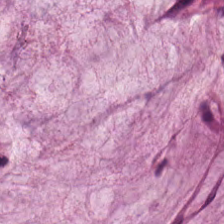Predominantly extracellular mucin.
